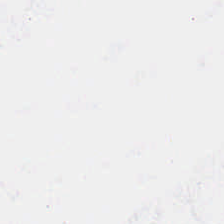H&E stain.
Q: What is shown in this field?
A: Background.
